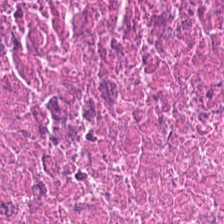H&E stain. FFPE. 20× equivalent magnification — Q: What is shown in this field?
A: The field shows cellular debris.
